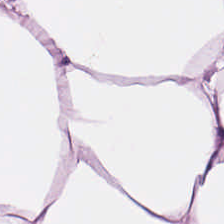Hematoxylin-and-eosin stained section. Adipocytes.
